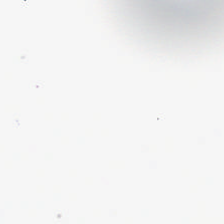Background — no tissue in this field.
